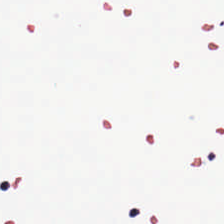Background — no tissue in this field.
